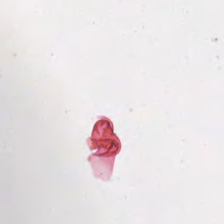H&E-stained tissue section — Q: What is shown here?
A: This is no tissue.
